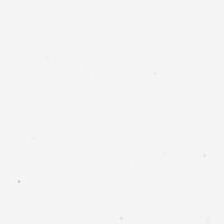Hematoxylin-and-eosin stained section.
Empty background.
